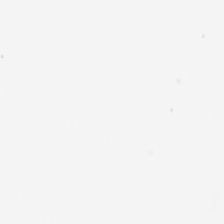Hematoxylin and eosin. Formalin-fixed paraffin-embedded section. 0.5 µm per pixel — Q: What is shown in this field?
A: The field shows background (no tissue).
